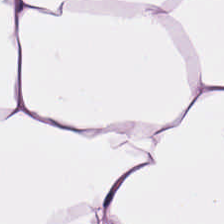Stain: hematoxylin-and-eosin stained section.
Resolution: 0.5 microns per pixel.
Acquisition: WSI patch.
Tissue class: fat tissue.
